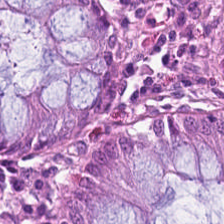This field is normal colonic mucosa.
